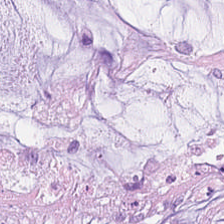Hematoxylin and eosin — {"tissue_type": "extracellular mucin"}
